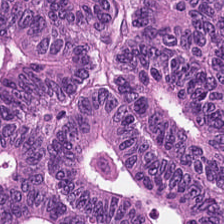Stain: H&E stain.
Tissue: adenocarcinoma.
